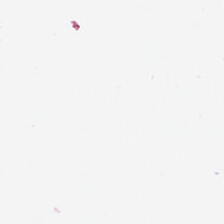This patch shows background (no tissue).
